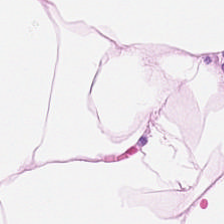Hematoxylin-and-eosin stained section · formalin-fixed paraffin-embedded section. Q: What type of tissue is this?
A: It is adipose tissue.
